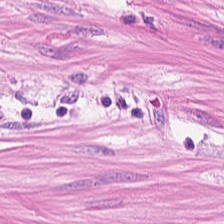H&E-stained section; the field shows smooth-muscle tissue.
